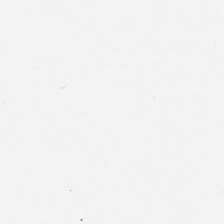0.5 microns per pixel · H&E-stained tissue section. Classification = no tissue.
